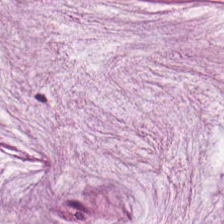H&E-stained tissue section. Tissue class: extracellular mucin.
